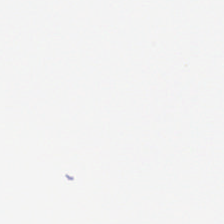Hematoxylin and eosin — This patch shows background (no tissue).
